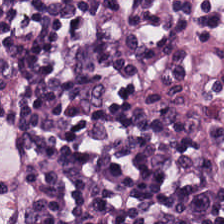Stain: hematoxylin and eosin.
Classification: lymphocyte aggregate.
